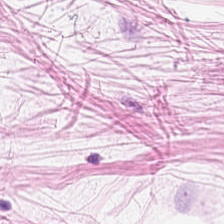Hematoxylin-and-eosin stained section.
This field is fat tissue.
